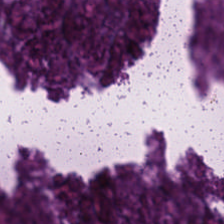Q: What is shown in this field?
A: Cellular debris.
